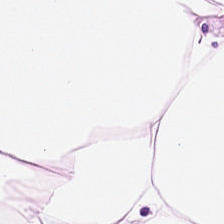H&E patch showing adipose.
